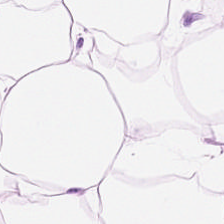Predominant tissue: adipose tissue.
